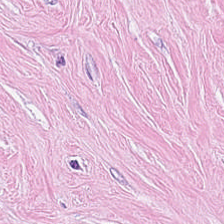Stain: H&E stain.
Classification: desmoplastic stroma.
